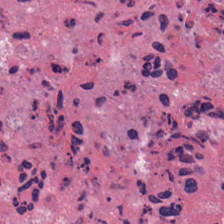Hematoxylin and eosin · WSI patch · 224×224 pixel tile.
Predominant tissue = debris.
